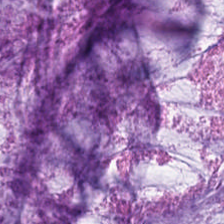Stain: H&E.
Predominant tissue: mucus.
